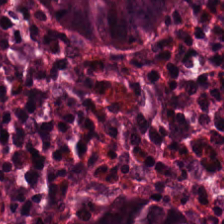H&E · FFPE tissue section · whole-slide-image patch.
This patch shows non-neoplastic colon mucosa.
